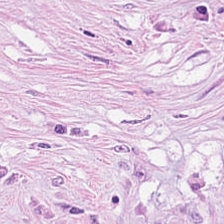0.5 µm per pixel. Hematoxylin-and-eosin stained section.
Tumor stroma.
